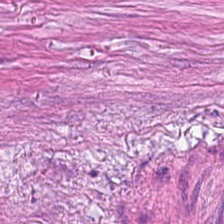Hematoxylin and eosin. 0.5 microns per pixel — Q: What is shown in this field?
A: It is tumor stroma.
